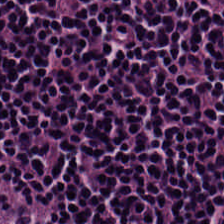Predominant tissue: lymphocytic infiltrate.
